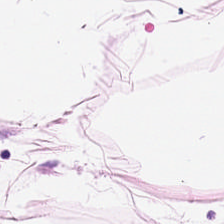H&E-stained tissue section · 0.5 µm/px · 224×224 px tile.
The tissue here is adipose.
